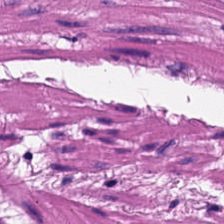H&E stain — Predominantly smooth muscle.
